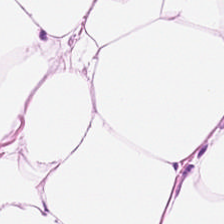This patch shows adipocytes.
